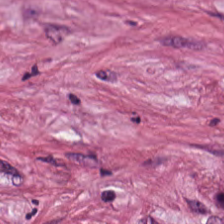Hematoxylin-and-eosin stained section.
{"tissue_type": "tumor-associated stroma"}
